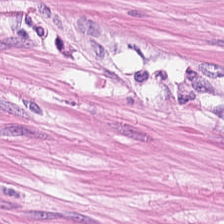Stain: H&E-stained tissue section.
Tile size: 224×224 px tile.
Tissue type: smooth-muscle tissue.
